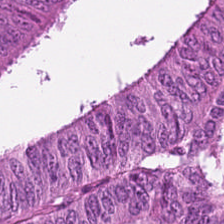Stain: H&E stain.
Tissue class: adenocarcinoma.
